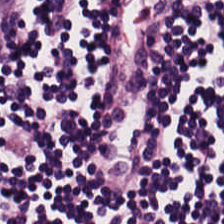H&E — Tissue class = lymphoid infiltrate.
